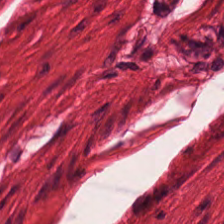H&E. 224×224 pixel tile — Q: Classify this patch.
A: This is smooth muscle.
